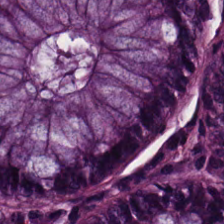Hematoxylin and eosin; 0.5 µm/px. Benign colonic mucosa.
